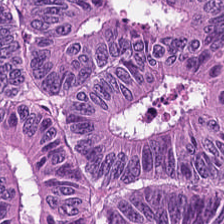H&E — colorectal adenocarcinoma.
